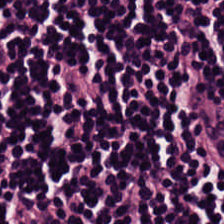Brightfield. Hematoxylin-and-eosin stained section. Q: What type of tissue is this?
A: The field shows lymphocytic infiltrate.
